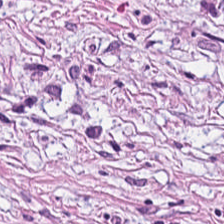224×224 px patch. H&E stain — Tissue type: tumor stroma.
